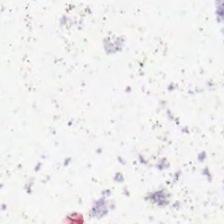Background.
